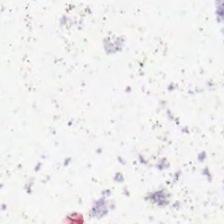Background.
